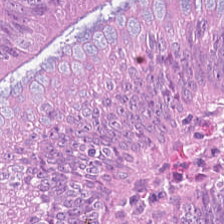Tissue class: adenocarcinoma.
